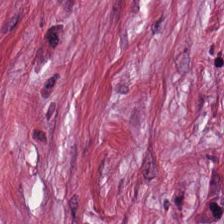Hematoxylin-and-eosin stained section. The tissue is desmoplastic stroma.
